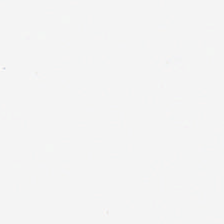Hematoxylin and eosin; 224×224 pixel tile. Empty field — background.
